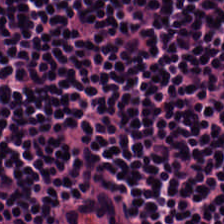Hematoxylin-and-eosin stained section · brightfield microscopy — Q: What is the predominant tissue type?
A: Lymphoid infiltrate.
